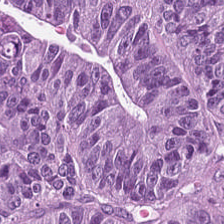Hematoxylin-and-eosin stained section.
Tissue = colorectal adenocarcinoma epithelium.
